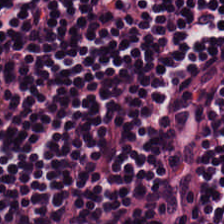Stain: hematoxylin and eosin.
Tissue type: lymphocyte aggregate.
